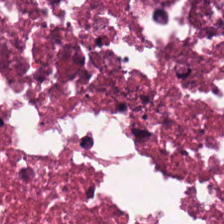H&E stain.
Debris.
